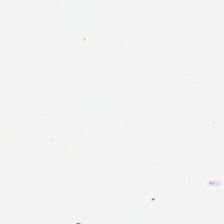H&E · 0.5 microns per pixel · FFPE tissue section — The content is background.
